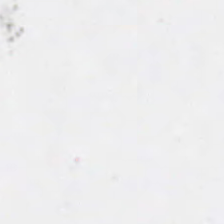H&E stain.
Finding → background (no tissue).
